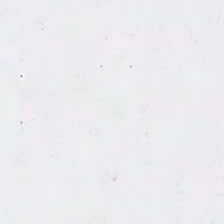H&E-stained tissue section · WSI patch · formalin-fixed paraffin-embedded section.
This field is background (no tissue).
